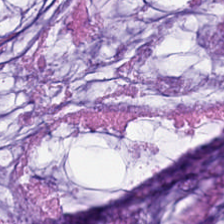H&E-stained tissue section.
Tissue — mucin.
